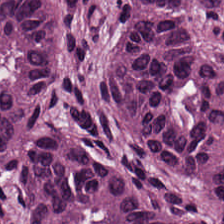Hematoxylin-and-eosin stained section. 0.5 µm per pixel.
Tissue — malignant epithelium.
